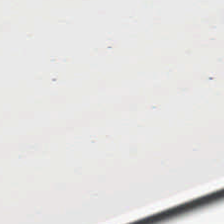Stain: H&E stain.
Classification: background.
